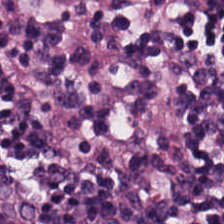Hematoxylin and eosin — Predominantly lymphocytic infiltrate.
